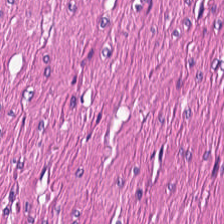FFPE; H&E. Showing smooth-muscle tissue.
